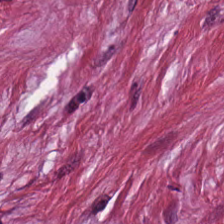Whole-slide-image patch. 224×224 px patch. Hematoxylin-and-eosin stained section. Impression → cancer-associated stroma.
